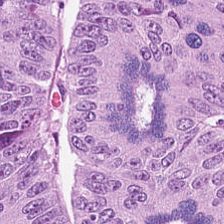Predominantly colorectal adenocarcinoma.
